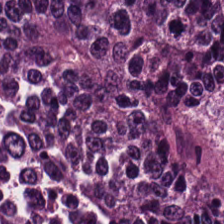Histology — colorectal adenocarcinoma epithelium.
